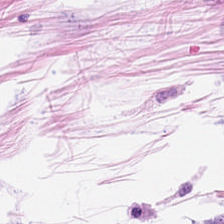224×224 px tile. H&E-stained tissue section.
Q: What tissue is shown?
A: This is adipose tissue.
